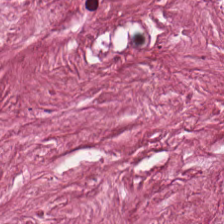H&E. The tissue class is desmoplastic stroma.
